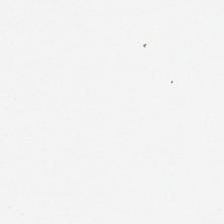H&E — {"content": "background (no tissue)"}
